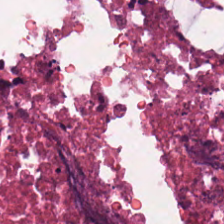Hematoxylin-and-eosin stained section; 224×224 px tile.
Tissue — debris.
